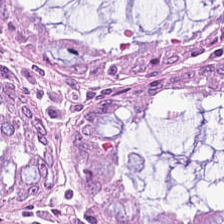Hematoxylin and eosin · brightfield · 20× equivalent magnification — Predominantly non-neoplastic colon mucosa.
